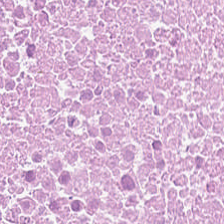H&E-stained tissue section — Histology → necrotic debris.
